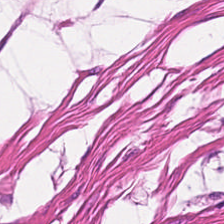Stain: H&E.
Resolution: 0.5 microns per pixel.
Tissue: smooth muscle.
